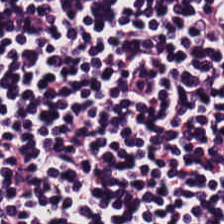224×224 px tile · hematoxylin and eosin · brightfield microscopy.
This field is lymphocytes.
